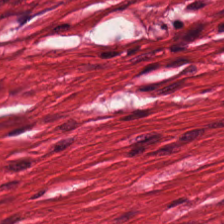Hematoxylin-and-eosin section: smooth muscle.
